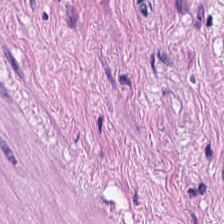Stain: H&E-stained tissue section.
Classification: smooth-muscle tissue.
